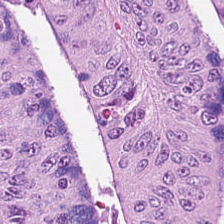Formalin-fixed paraffin-embedded section; hematoxylin and eosin.
Tissue class = malignant epithelium.
